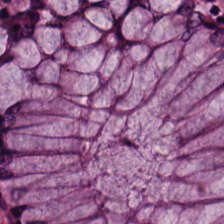H&E-stained tissue section. 0.5 µm/px — Impression — benign colonic mucosa.
